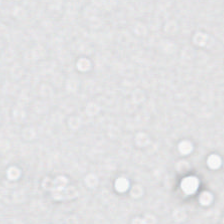Hematoxylin and eosin.
Classification: background (no tissue).
